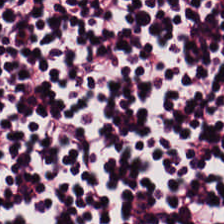H&E · whole-slide-image patch.
This field is lymphocytic infiltrate.
